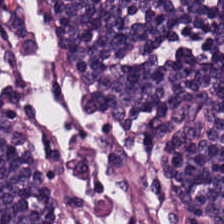Hematoxylin-and-eosin stained section; brightfield microscopy; FFPE.
Predominantly lymphocyte aggregate.
